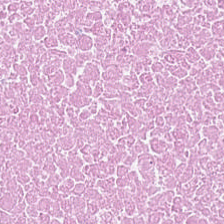Hematoxylin-and-eosin stained section. Tissue type — necrotic debris.
